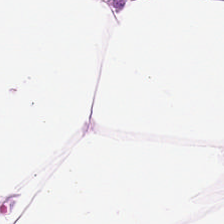Predominantly adipose.
